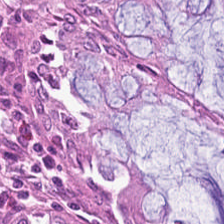Hematoxylin and eosin — The predominant tissue is benign colonic mucosa.
